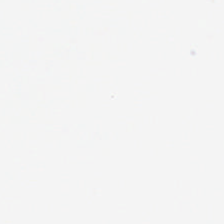H&E-stained tissue section — Background — no tissue in this field.
